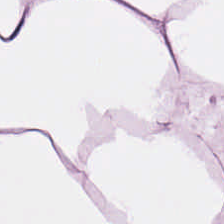H&E stain.
{"tissue_type": "adipose tissue"}
